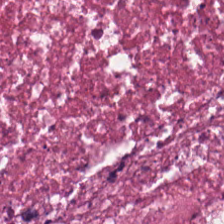0.5 µm/px. H&E-stained tissue section — Impression — debris.
